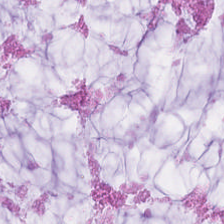Q: What is shown here?
A: It is mucus.
